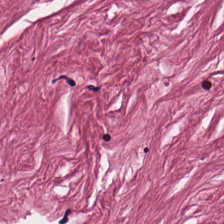Q: What is shown here?
A: Desmoplastic stroma.
